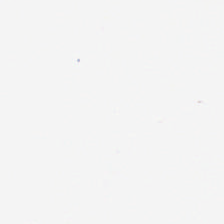Hematoxylin-and-eosin stained section. The field content is empty background.
